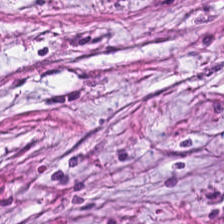224×224 px tile · H&E. This field is cancer-associated stroma.
